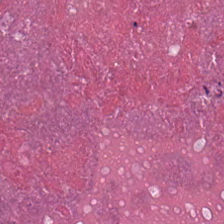H&E-stained tissue section. {"tissue_type": "necrotic debris"}
